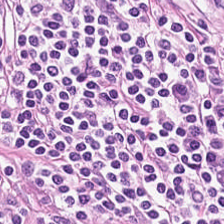The predominant tissue is lymphocytes.
